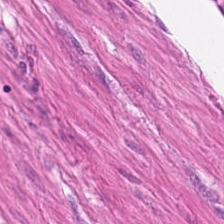H&E-stained tissue section — {"tissue_type": "smooth-muscle tissue"}
